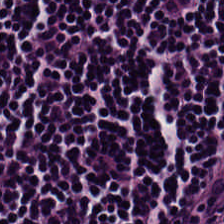0.5 µm/px · hematoxylin-and-eosin stained section.
Q: What is shown in this field?
A: The field shows lymphocytes.
